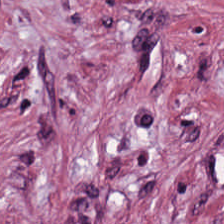Stain: hematoxylin-and-eosin stained section.
Tissue class: tumor stroma.
